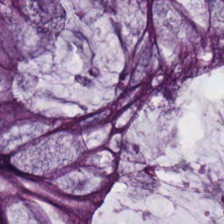Brightfield microscopy · H&E stain · FFPE tissue section.
Tissue type = benign colonic mucosa.
